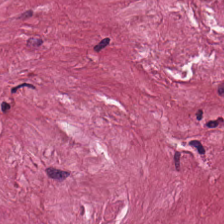Hematoxylin-and-eosin stained section.
Finding → desmoplastic stroma.
